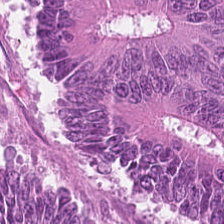Hematoxylin and eosin — Classification — tumor epithelium.
